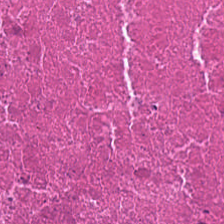H&E-stained tissue section. 224×224 px patch. Q: What type of tissue is this?
A: It is necrotic debris.
